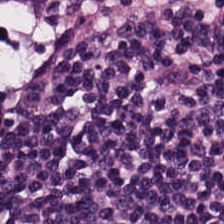0.5 microns per pixel · H&E · 224×224 px patch.
Showing lymphocyte aggregate.
